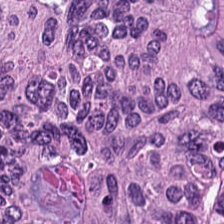H&E. FFPE. WSI patch. Tissue type: colorectal adenocarcinoma.
